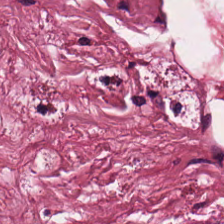Hematoxylin and eosin. Q: What does this patch show?
A: It is tumor stroma.
